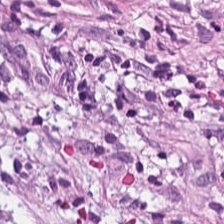H&E.
Impression → tumor-associated stroma.
